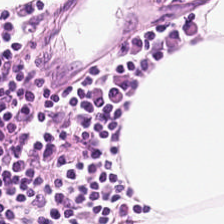Hematoxylin-and-eosin stained section.
Classification — adipocytes.
